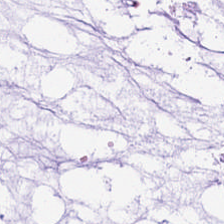Stain: hematoxylin and eosin.
Preparation: FFPE tissue section.
Classification: mucin.
